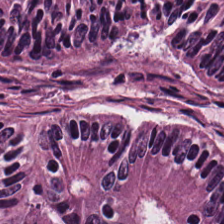H&E patch showing tumor epithelium.
